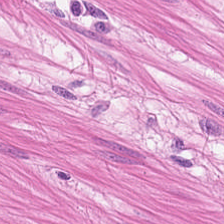H&E · FFPE.
Histology — smooth-muscle tissue.
